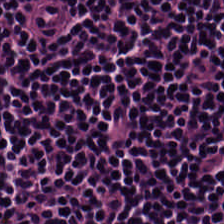H&E. Histology → lymphocytic infiltrate.
